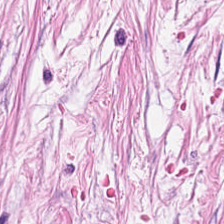Hematoxylin-and-eosin stained section — Predominant tissue: desmoplastic stroma.
